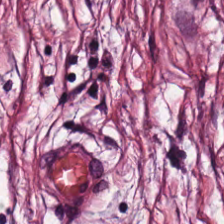20× equivalent magnification; H&E-stained tissue section.
Tumor stroma.
